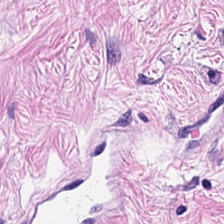H&E stain.
Predominant tissue: desmoplastic stroma.
